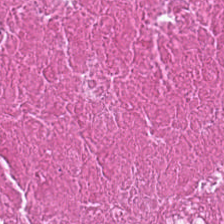Histology → necrotic debris.
